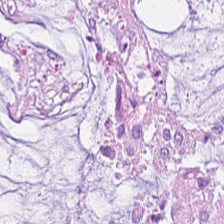Hematoxylin-and-eosin stained section; formalin-fixed paraffin-embedded section — Q: What type of tissue is this?
A: Extracellular mucin.
